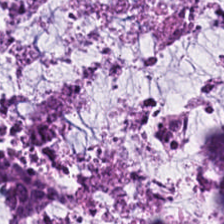H&E; 0.5 microns per pixel; 224×224 px patch.
Tissue: mucus.
